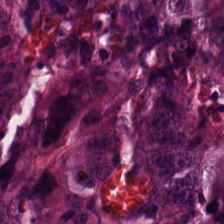H&E · 224×224 px tile — Tissue — adenocarcinoma.
